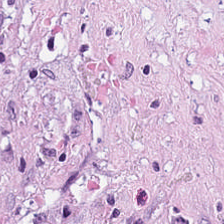H&E; formalin-fixed paraffin-embedded section.
This field is tumor-associated stroma.
